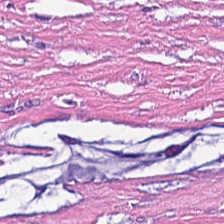FFPE tissue section · H&E stain.
Showing desmoplastic stroma.
